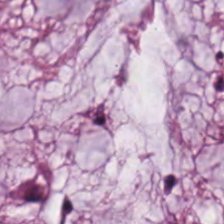Q: What tissue type is shown here?
A: This is mucus.
